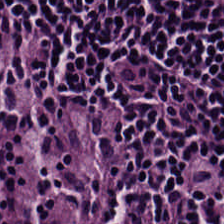H&E. 224×224 px tile. This patch shows lymphocytes.
